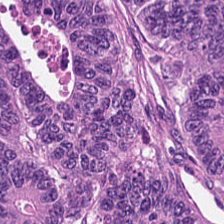Stain: H&E.
Preparation: FFPE tissue section.
Acquisition: WSI patch.
Tissue: malignant epithelium.
